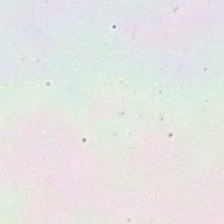H&E · 0.5 microns per pixel · brightfield microscopy — The classification is background.
